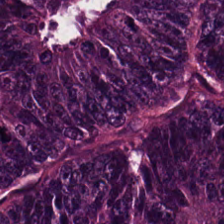H&E — The predominant tissue is colorectal adenocarcinoma epithelium.
